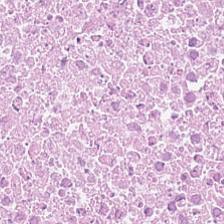FFPE tissue section; H&E stain; 224×224 pixel tile.
Predominant tissue: necrotic debris.
